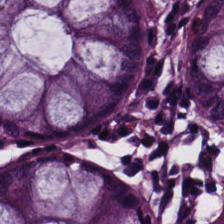H&E-stained tissue section.
{"tissue_type": "normal colonic mucosa"}
